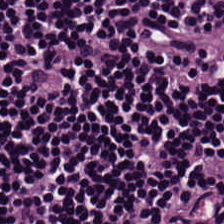Hematoxylin and eosin — Predominant tissue = lymphocytes.
